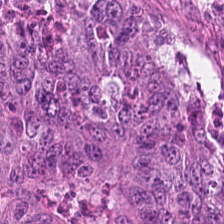WSI patch; hematoxylin-and-eosin stained section; 0.5 microns per pixel. Q: What is shown in this field?
A: It is malignant epithelium.
